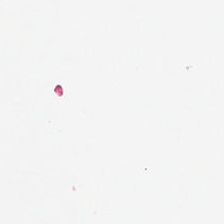Stain: hematoxylin and eosin.
Tile size: 224×224 pixel tile.
Content: background (no tissue).
